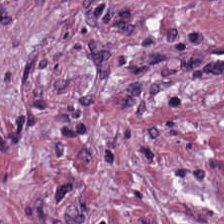H&E-stained tissue section; FFPE tissue section; 224×224 px patch. Impression → cancer-associated stroma.
